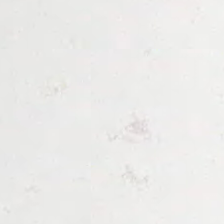0.5 microns per pixel · hematoxylin and eosin.
{"content": "empty background"}
